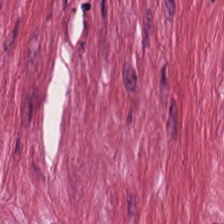H&E-stained tissue section · WSI patch.
Tumor-associated stroma.
